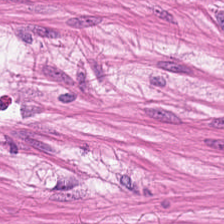FFPE tissue section. H&E. 0.5 µm/px. {"tissue_type": "smooth-muscle tissue"}
